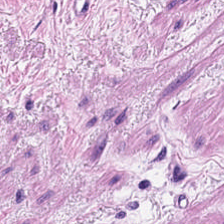H&E stain. 224×224 px tile. Formalin-fixed paraffin-embedded section — Histology — muscularis.
